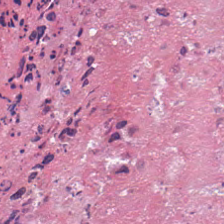Stain: H&E.
Predominant tissue: necrotic debris.
